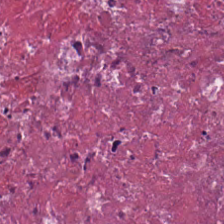Q: Identify the tissue.
A: This is cellular debris.
